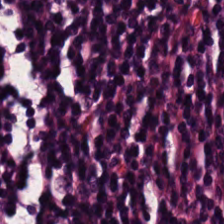Stain: H&E stain.
Resolution: 0.5 µm per pixel.
Classification: lymphocyte aggregate.
